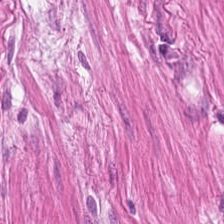FFPE tissue section · hematoxylin and eosin · 224×224 px tile.
Smooth muscle.
